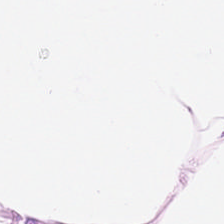The classification is fat tissue.
